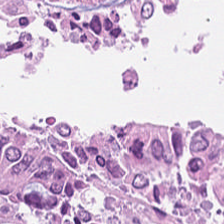Tissue class = malignant epithelium.
